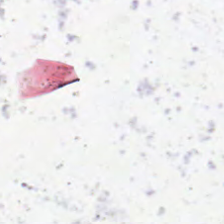H&E stain. Q: What is shown here?
A: It is background (no tissue).
